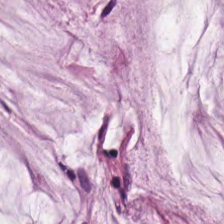H&E-stained tissue section.
Classification — extracellular mucin.
